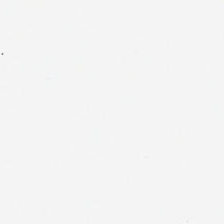Stain: H&E-stained tissue section.
Preparation: FFPE tissue section.
Acquisition: brightfield.
Content: empty background.
